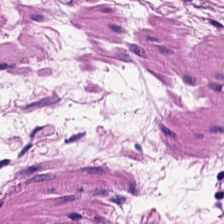H&E-stained tissue section — Finding — smooth muscle.
